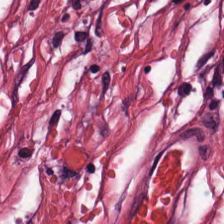{"tissue_type": "tumor stroma"}
